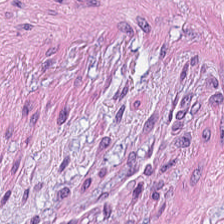FFPE tissue section. 0.5 µm per pixel. Hematoxylin and eosin.
Q: Identify the tissue.
A: Desmoplastic stroma.
